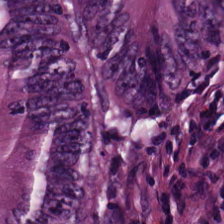Hematoxylin-and-eosin stained section.
Impression — tumor epithelium.
